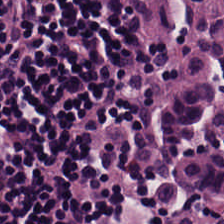Q: What tissue type is shown here?
A: The field shows lymphocyte aggregate.
